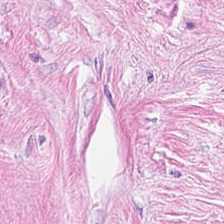224×224 pixel tile. WSI patch. H&E — Tissue class — tumor-associated stroma.
